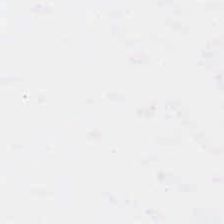Whole-slide-image patch · H&E-stained tissue section · FFPE tissue section.
Classification = background.
